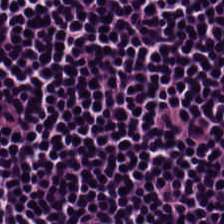Hematoxylin and eosin · WSI patch. Predominantly lymphocytic infiltrate.
